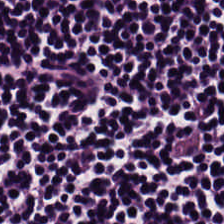Hematoxylin-and-eosin stained section.
{"tissue_type": "lymphoid infiltrate"}
